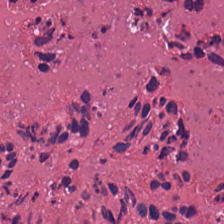H&E — Tissue — debris.
